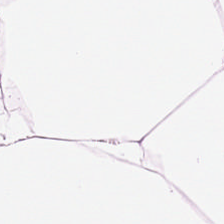Hematoxylin and eosin. The tissue here is adipose.
